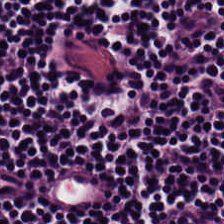The tissue here is lymphocyte aggregate.
